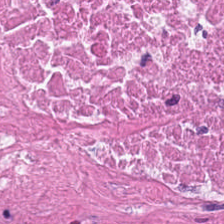Hematoxylin-and-eosin stained section · 224×224 px patch.
Q: Identify the tissue.
A: Debris.
